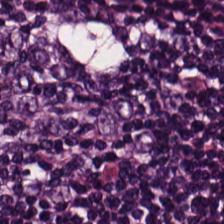20× equivalent magnification · hematoxylin and eosin.
This patch shows lymphocytes.
